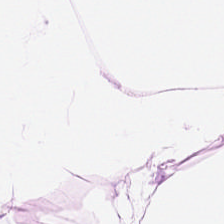Hematoxylin-and-eosin stained section. {"tissue_type": "adipose tissue"}
